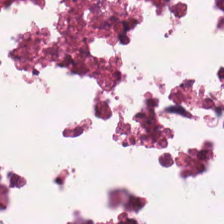Hematoxylin and eosin · 0.5 microns per pixel. Q: What does this patch show?
A: Cellular debris.
